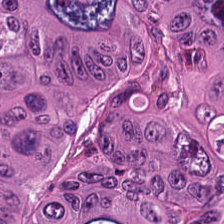Hematoxylin and eosin.
{"tissue_type": "malignant epithelium"}
